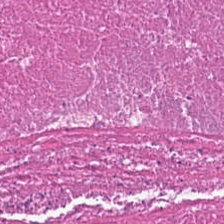H&E-stained tissue section — Predominantly necrotic debris.
